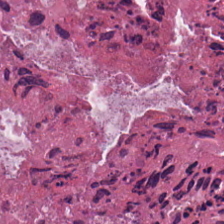Showing necrotic debris.
